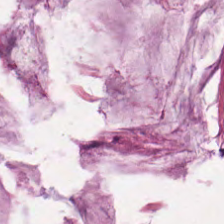H&E — Showing mucus.
